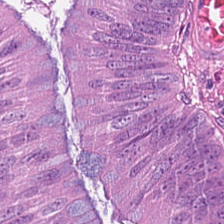Tissue — adenocarcinoma.
